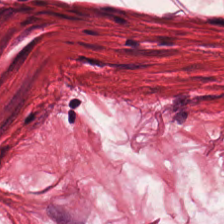H&E-stained tissue section; 0.5 microns per pixel. Predominantly smooth muscle.
